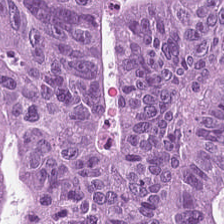Whole-slide-image patch; hematoxylin-and-eosin stained section — Q: What tissue is shown?
A: It is colorectal adenocarcinoma epithelium.
